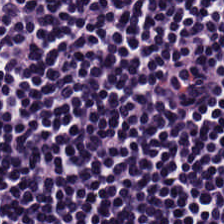The classification is lymphocytes.
